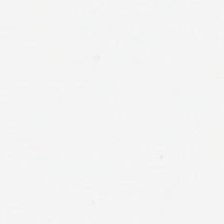224×224 px tile. Hematoxylin-and-eosin stained section. FFPE tissue section. The field content is no tissue.
